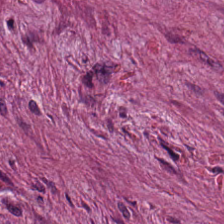Hematoxylin-and-eosin stained section — The tissue here is tumor-associated stroma.
